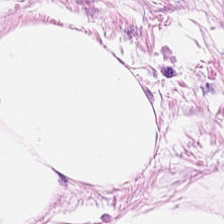Stain: H&E.
Tissue class: adipose.
